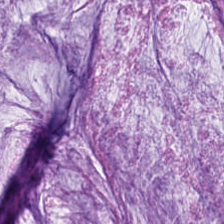H&E-stained tissue section. FFPE tissue section. Q: What tissue is shown?
A: The field shows mucus.
